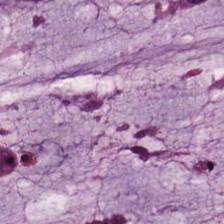H&E stain. Predominantly mucus.
